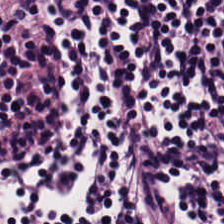0.5 µm/px. H&E-stained tissue section — This field is lymphocytes.
